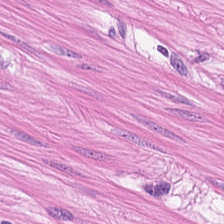Hematoxylin-and-eosin stained section; 0.5 µm per pixel; brightfield — This field is smooth muscle.
